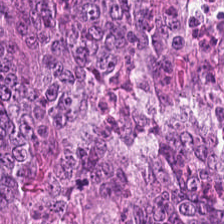0.5 µm per pixel · hematoxylin-and-eosin stained section. The classification is colorectal adenocarcinoma.
